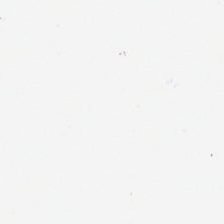H&E stain — Empty field — background (no tissue).
